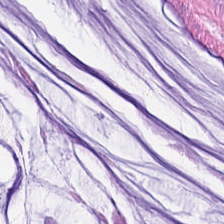Formalin-fixed paraffin-embedded section; H&E.
Showing mucin.
